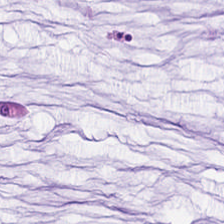Q: Identify the tissue.
A: It is mucin.
